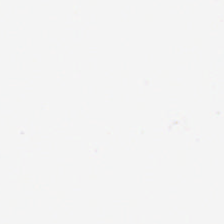This patch shows background (no tissue).
